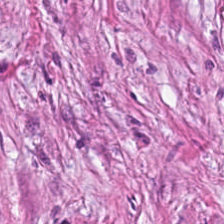FFPE · H&E-stained tissue section. The predominant tissue is tumor-associated stroma.
